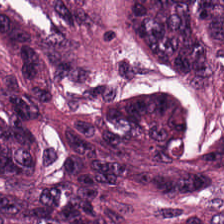FFPE · hematoxylin and eosin.
The tissue here is malignant epithelium.
